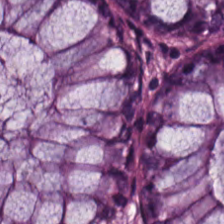Hematoxylin-and-eosin stained section. Q: What is shown in this field?
A: This is normal colon mucosa.
